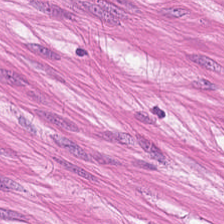H&E-stained tissue section. Q: What is shown here?
A: The field shows muscularis.
